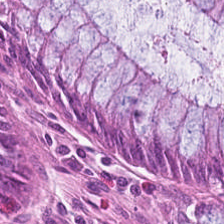H&E-stained tissue section — The predominant tissue is normal colon mucosa.
